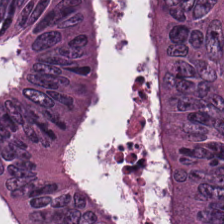H&E stain · 224×224 px patch.
Predominantly colorectal adenocarcinoma.
